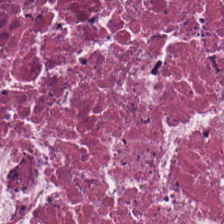Whole-slide-image patch · hematoxylin and eosin.
This patch shows necrotic debris.
